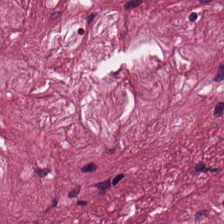Tissue type: desmoplastic stroma.
